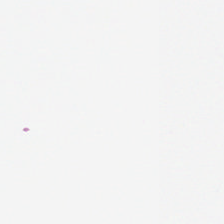H&E-stained tissue section. This field is background (no tissue).
